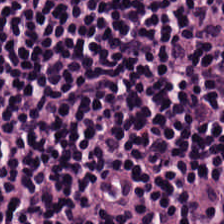This field is lymphocyte aggregate.
